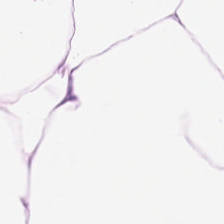Predominantly adipocytes.
